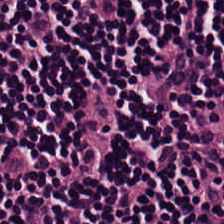FFPE; hematoxylin and eosin.
Predominant tissue: lymphocytic infiltrate.
